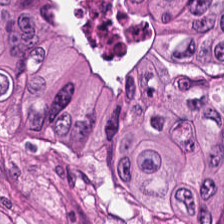Hematoxylin and eosin. Brightfield.
{"tissue_type": "adenocarcinoma"}
